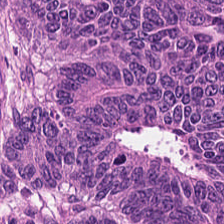Stain: H&E.
Predominant tissue: malignant epithelium.
